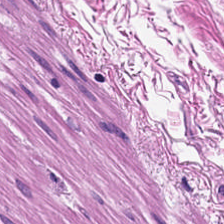{"tissue_type": "muscularis"}
